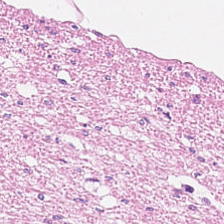H&E-stained tissue section — This patch shows smooth-muscle tissue.
